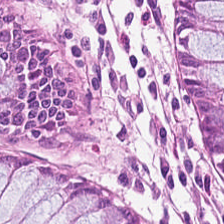Stain: H&E.
Tile size: 224×224 px patch.
Tissue class: non-neoplastic colon mucosa.
